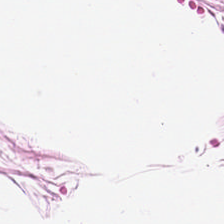Stain: H&E-stained tissue section.
Predominant tissue: adipocytes.
